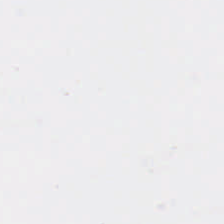Hematoxylin-and-eosin stained section.
Classification: background.
